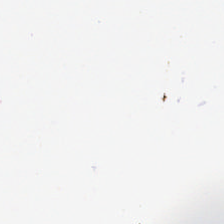H&E. {"content": "empty background"}
